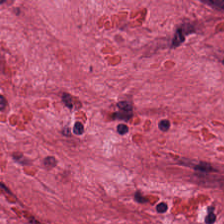H&E-stained tissue section — Q: What type of tissue is this?
A: Desmoplastic stroma.
